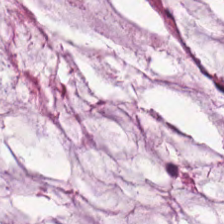H&E — Predominant tissue — mucin.
